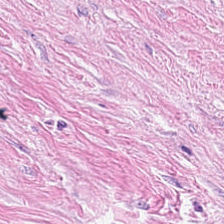H&E-stained tissue section.
Desmoplastic stroma.
